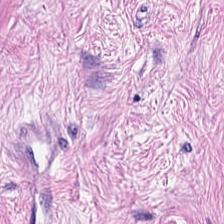Stain: H&E.
Preparation: formalin-fixed paraffin-embedded section.
Tile size: 224×224 px tile.
Classification: cancer-associated stroma.
